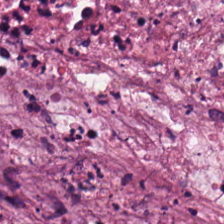H&E stain — Predominant tissue = debris.
